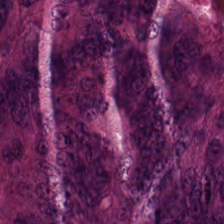Stain: H&E stain.
Resolution: 0.5 µm per pixel.
Tissue class: colorectal adenocarcinoma epithelium.
